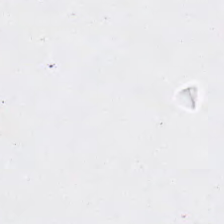Hematoxylin-and-eosin stained section — This patch shows background (no tissue).
